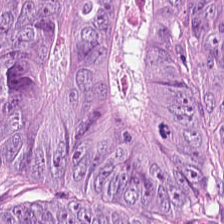H&E; FFPE — Showing tumor epithelium.
